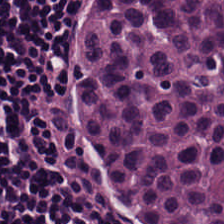{"tissue_type": "lymphocytes"}
